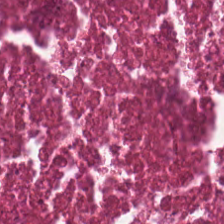H&E patch showing cellular debris.
